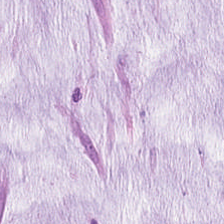This patch shows extracellular mucin.
